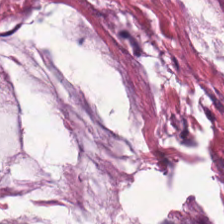FFPE; H&E; WSI patch.
Classification — mucin.
